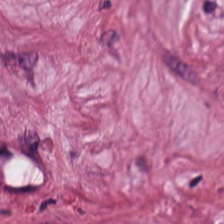WSI patch · H&E. Tissue — tumor-associated stroma.
